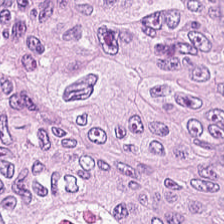Hematoxylin-and-eosin stained section · WSI patch. Q: Identify the tissue.
A: Adenocarcinoma.
